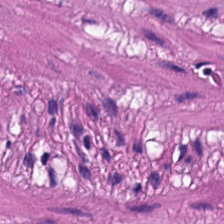H&E-stained tissue section — The tissue type is muscularis.
